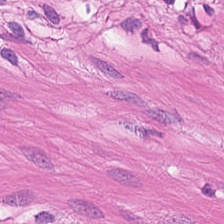0.5 µm per pixel · H&E-stained tissue section · 224×224 px patch. Histology — smooth-muscle tissue.
